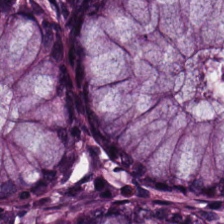Hematoxylin and eosin — Finding — normal colonic mucosa.
